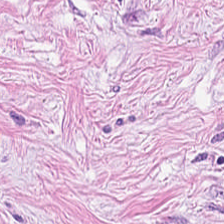H&E-stained tissue section. Showing cancer-associated stroma.
